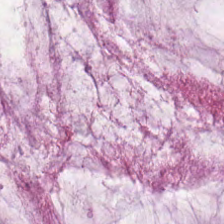H&E stain.
Mucus.
